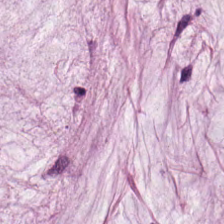H&E-stained tissue section; 224×224 px patch; whole-slide-image patch. The predominant tissue is mucin.
